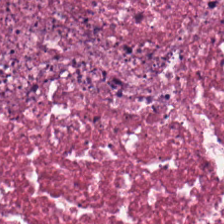H&E-stained tissue section.
Tissue type: debris.
